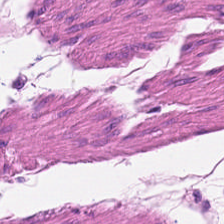Hematoxylin and eosin · 224×224 px tile.
Impression → smooth-muscle tissue.
